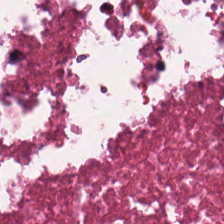{"tissue_type": "necrotic debris"}
